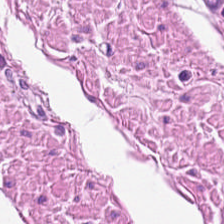224×224 pixel tile. Hematoxylin-and-eosin stained section.
Histology — smooth-muscle tissue.
